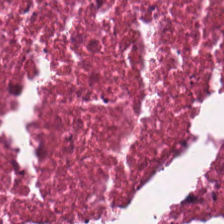224×224 px tile; hematoxylin-and-eosin stained section. The tissue is debris.
